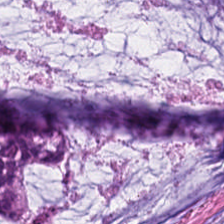Hematoxylin and eosin — The predominant tissue is mucin.
